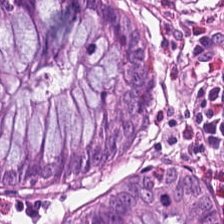H&E patch showing normal colonic mucosa.
